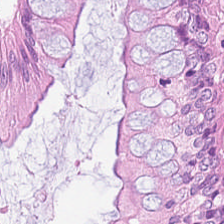Q: What type of tissue is this?
A: It is normal colonic mucosa.
